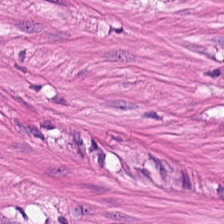Tissue type = smooth-muscle tissue.
